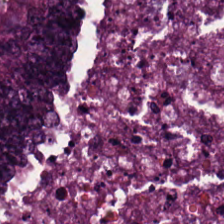H&E-stained tissue section.
{"tissue_type": "malignant epithelium"}
